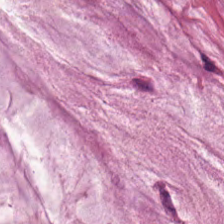Hematoxylin and eosin. 224×224 px tile.
The classification is mucus.
